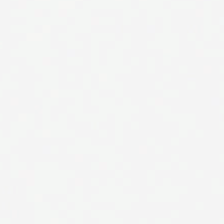H&E-stained tissue section — This field is background (no tissue).
